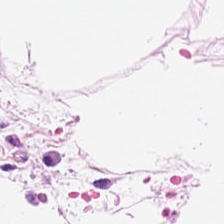H&E stain. The predominant tissue is adipose.
